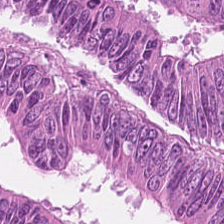Formalin-fixed paraffin-embedded section. Whole-slide-image patch. Hematoxylin-and-eosin stained section — Finding → tumor epithelium.
